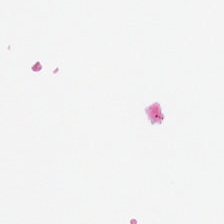H&E-stained tissue section. Q: What does this patch show?
A: Empty background.
